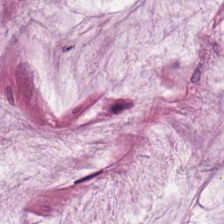Predominantly mucin.
